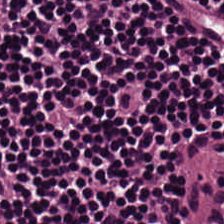H&E-stained tissue section; 20× equivalent magnification; 224×224 pixel tile — Tissue: lymphocyte aggregate.
